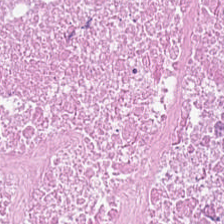Stain: hematoxylin-and-eosin stained section.
Predominant tissue: cellular debris.
